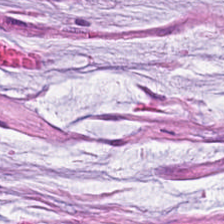0.5 microns per pixel. Hematoxylin-and-eosin stained section — The tissue here is extracellular mucin.
